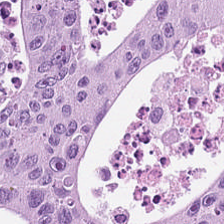H&E stain.
This patch shows malignant epithelium.
